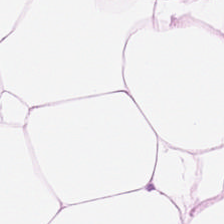224×224 pixel tile · H&E-stained tissue section · brightfield. Predominantly adipose.
